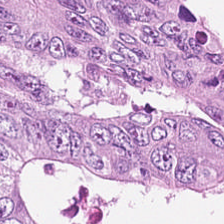H&E; brightfield microscopy — This patch shows tumor epithelium.
